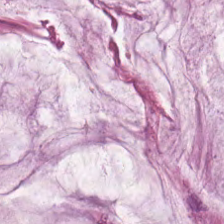FFPE tissue section. Hematoxylin-and-eosin stained section — Q: What is shown here?
A: Extracellular mucin.
